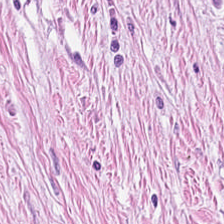H&E stain.
The tissue is desmoplastic stroma.
